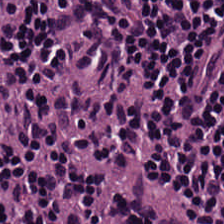H&E-stained tissue section. 224×224 px tile. 20× equivalent magnification. Lymphoid infiltrate.
